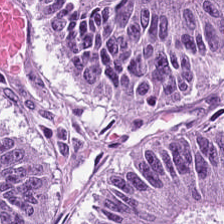H&E-stained tissue section — Showing tumor epithelium.
